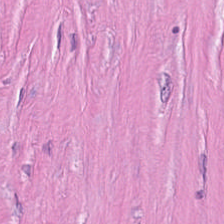Hematoxylin and eosin. Q: What is shown in this field?
A: This is desmoplastic stroma.
